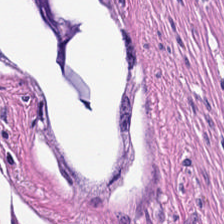Hematoxylin-and-eosin stained section.
Classification = smooth-muscle tissue.
